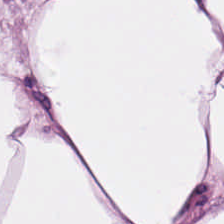Whole-slide-image patch · H&E-stained tissue section · 224×224 px patch. Showing adipose tissue.
